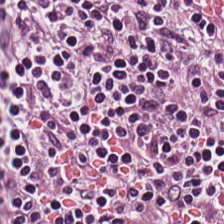Hematoxylin and eosin. FFPE tissue section.
Predominantly lymphocytes.
